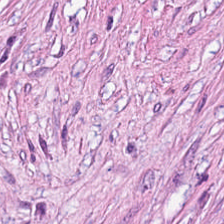H&E stain. The predominant tissue is desmoplastic stroma.
